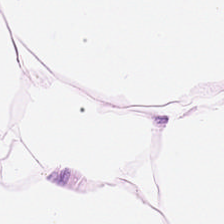Predominantly adipocytes.
